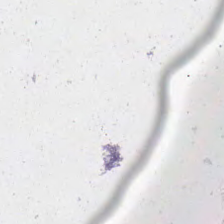Stain: H&E stain.
Tile size: 224×224 px tile.
Resolution: 0.5 microns per pixel.
Field content: empty background.
